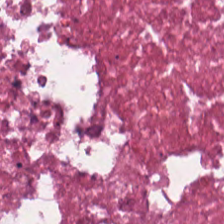FFPE tissue section · hematoxylin and eosin — Necrotic debris.
